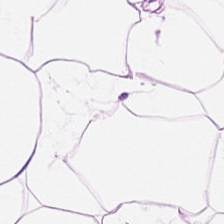H&E — Q: What tissue is shown?
A: It is adipocytes.
